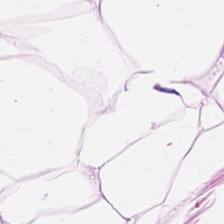Stain: hematoxylin-and-eosin stained section.
Predominant tissue: adipocytes.
